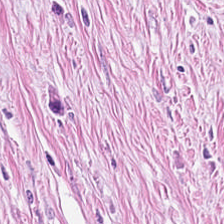20× equivalent magnification · 224×224 px tile · H&E. Showing desmoplastic stroma.
